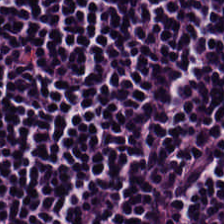Hematoxylin-and-eosin stained section; brightfield microscopy. Showing lymphocyte aggregate.
